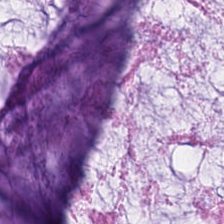Showing extracellular mucin.
